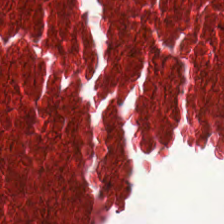H&E stain. Q: What does this patch show?
A: Debris.
